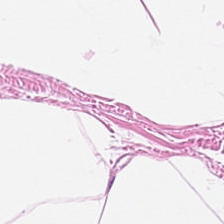H&E-stained tissue section — Q: What tissue type is shown here?
A: This is fat tissue.
